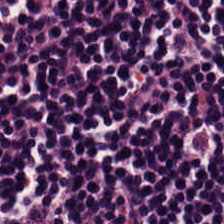Impression — lymphoid infiltrate.
